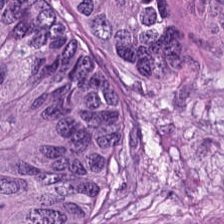Q: Identify the tissue.
A: It is colorectal adenocarcinoma.
